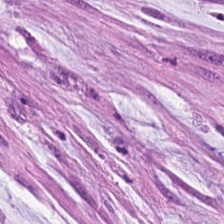Classification: extracellular mucin.
